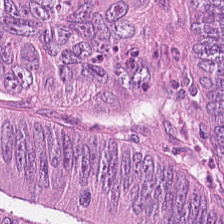This field is colorectal adenocarcinoma epithelium.
